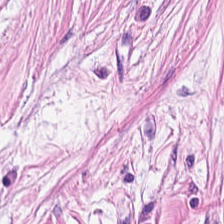Hematoxylin-and-eosin stained section. This field is tumor-associated stroma.
